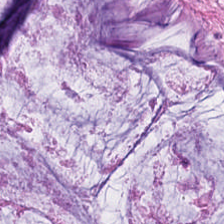Hematoxylin and eosin · FFPE tissue section · 0.5 µm/px — Q: What is shown here?
A: It is extracellular mucin.
